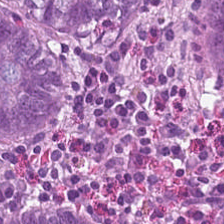H&E. 0.5 µm/px. WSI patch — Showing normal colonic mucosa.
